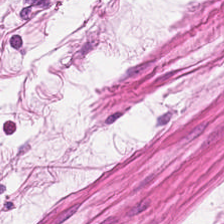Q: What is shown in this field?
A: Smooth-muscle tissue.
